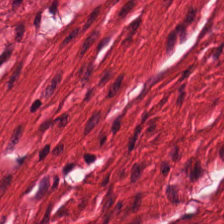H&E-stained tissue section.
Tissue class = smooth-muscle tissue.
